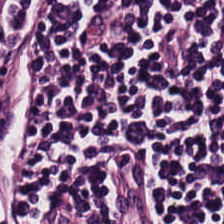H&E stain. {"tissue_type": "lymphocytic infiltrate"}
